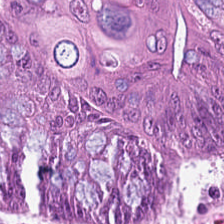20× equivalent magnification. H&E stain.
{"tissue_type": "colorectal adenocarcinoma epithelium"}
